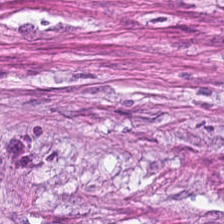Hematoxylin-and-eosin stained section. FFPE. Brightfield. This field is desmoplastic stroma.
